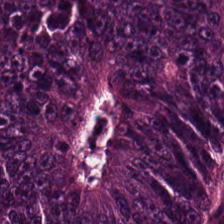Hematoxylin-and-eosin stained section.
This field is adenocarcinoma.
